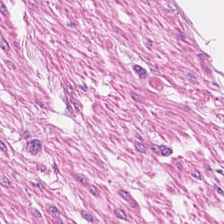Hematoxylin and eosin — This patch shows smooth-muscle tissue.
